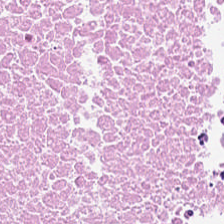Tissue class — necrotic debris.
